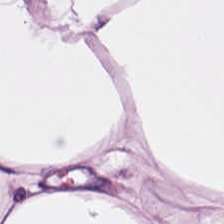H&E-stained tissue section; 224×224 pixel tile. Histology — fat tissue.
